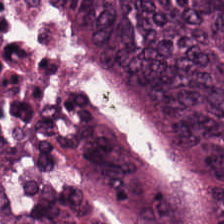Histology — colorectal adenocarcinoma.
